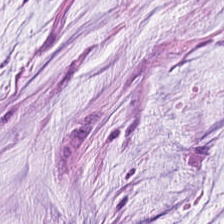Predominant tissue: mucin.
